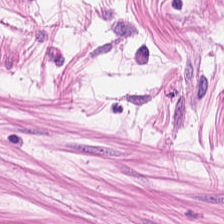0.5 µm/px. H&E stain — Tissue class — muscularis.
